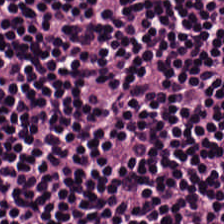Brightfield microscopy. Hematoxylin-and-eosin stained section. Predominantly lymphocytic infiltrate.
